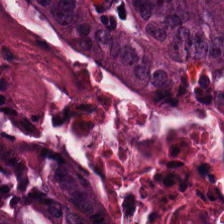Stain: hematoxylin-and-eosin stained section.
Predominant tissue: colorectal adenocarcinoma epithelium.
